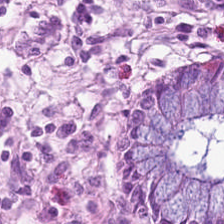Stain: H&E.
Predominant tissue: normal colonic mucosa.
